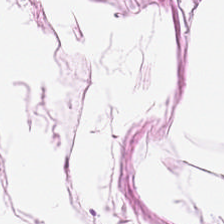Stain: hematoxylin-and-eosin stained section.
Tile size: 224×224 px tile.
Tissue class: fat tissue.
